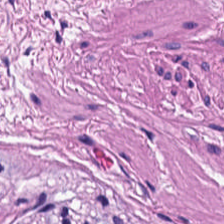H&E-stained tissue section. The tissue is muscularis.
